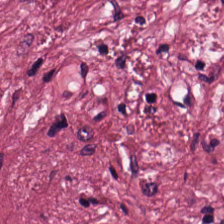H&E-stained tissue section · 224×224 pixel tile. The tissue here is tumor stroma.
